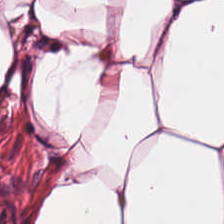Showing fat tissue.
